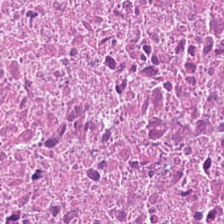Showing cellular debris.
